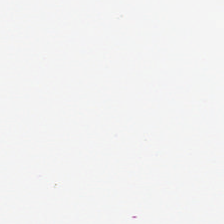Stain: hematoxylin-and-eosin stained section.
Preparation: FFPE.
Acquisition: WSI patch.
Content: no tissue.
